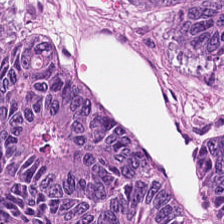Q: What is the predominant tissue type?
A: The field shows adenocarcinoma.
